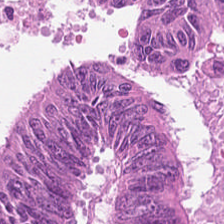Tissue type — colorectal adenocarcinoma epithelium.
